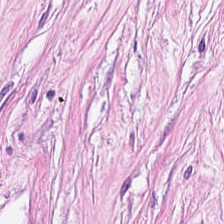Hematoxylin-and-eosin stained section. Brightfield microscopy.
Q: Identify the tissue.
A: Cancer-associated stroma.
